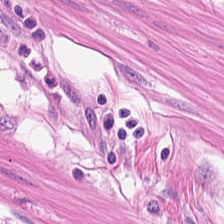FFPE tissue section. Hematoxylin and eosin. WSI patch.
The tissue class is smooth muscle.
